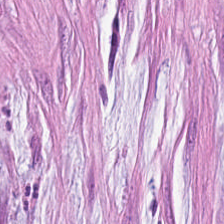The tissue class is extracellular mucin.
